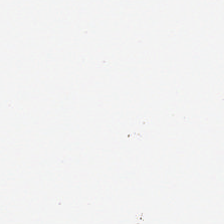Stain: H&E stain.
Content: no tissue.
